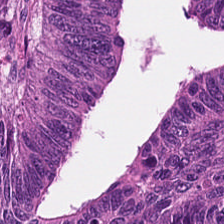Hematoxylin and eosin; 20× equivalent magnification.
Finding → tumor epithelium.
